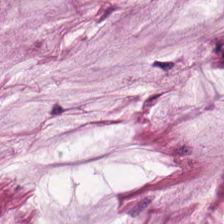H&E-stained tissue section. Q: What type of tissue is this?
A: It is mucus.
